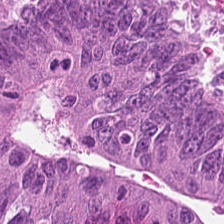H&E — Q: What tissue type is shown here?
A: Malignant epithelium.
